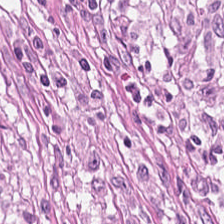Hematoxylin-and-eosin stained section.
Showing cancer-associated stroma.
